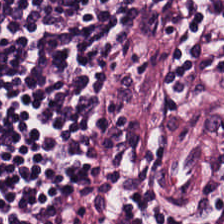Hematoxylin-and-eosin stained section — The tissue here is lymphocytes.
